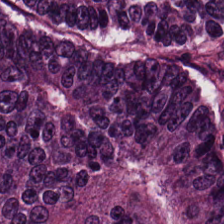H&E — Predominantly adenocarcinoma.
